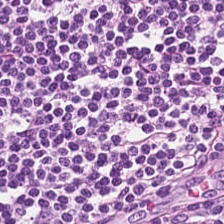Q: What tissue is shown?
A: Lymphocytes.
